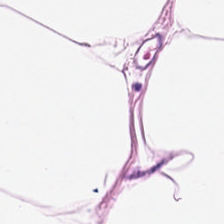Hematoxylin and eosin — This field is adipose tissue.
